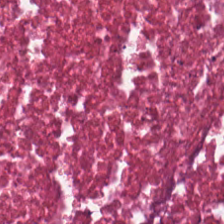The classification is cellular debris.
